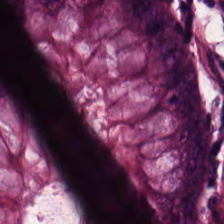Stain: H&E stain.
Tile size: 224×224 px patch.
Tissue: non-neoplastic colon mucosa.
